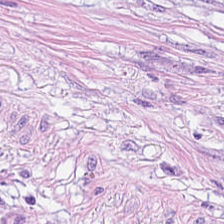224×224 pixel tile · H&E stain — Mucus.
